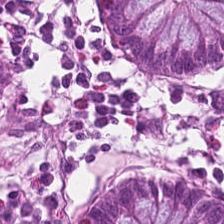Hematoxylin-and-eosin stained section; 20× equivalent magnification. Predominantly benign colonic mucosa.
